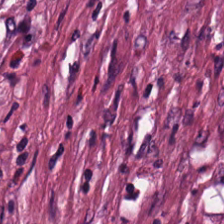H&E stain. Predominant tissue = desmoplastic stroma.
